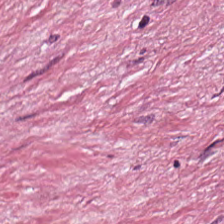H&E stain.
Q: What tissue type is shown here?
A: The field shows tumor stroma.
